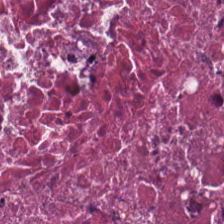H&E-stained tissue section. WSI patch. 20× equivalent magnification. Finding → cellular debris.
